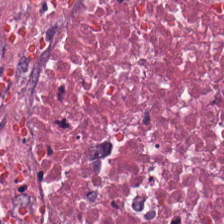Formalin-fixed paraffin-embedded section. H&E-stained tissue section.
Q: What type of tissue is this?
A: It is cellular debris.
